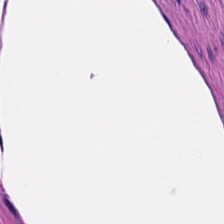H&E. 224×224 px patch.
Predominant tissue: smooth-muscle tissue.
